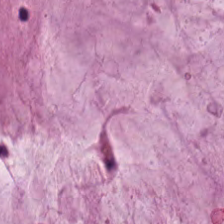H&E-stained tissue section showing mucus.
